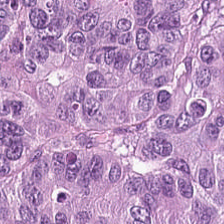This patch shows tumor epithelium.
